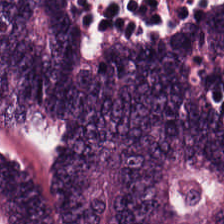20× equivalent magnification. Hematoxylin and eosin. Q: What does this patch show?
A: This is malignant epithelium.
